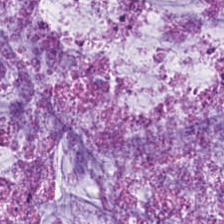Hematoxylin-and-eosin stained section — The predominant tissue is mucus.
